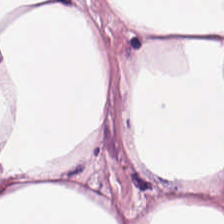Tissue class — adipocytes.
